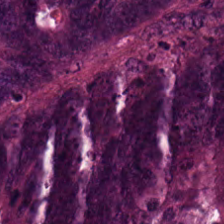Hematoxylin and eosin. Histology → colorectal adenocarcinoma.
